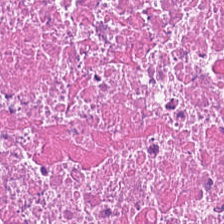224×224 px patch. H&E. FFPE tissue section — Predominant tissue: debris.
